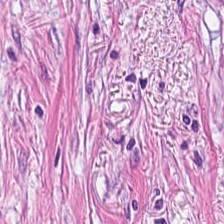H&E-stained section; the field shows tumor stroma.
